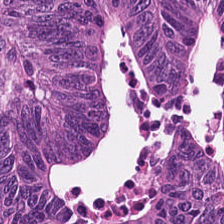WSI patch · H&E-stained tissue section — Finding — adenocarcinoma.
